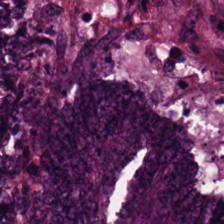H&E-stained tissue section · FFPE — Q: Classify this patch.
A: This is colorectal adenocarcinoma.
